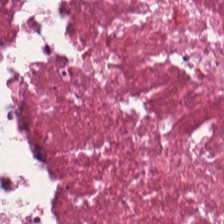H&E-stained tissue section. 0.5 µm per pixel. This patch shows cellular debris.
